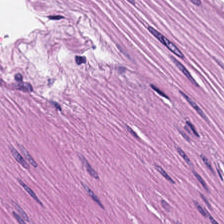H&E-stained tissue section.
The predominant tissue is smooth muscle.
